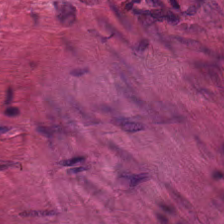Whole-slide-image patch · H&E-stained tissue section — Classification: smooth muscle.
